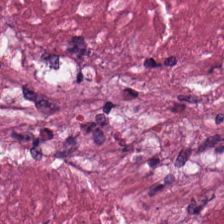Hematoxylin and eosin. Brightfield microscopy. FFPE tissue section. Debris.
